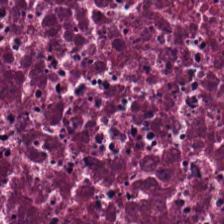This patch shows necrotic debris.
